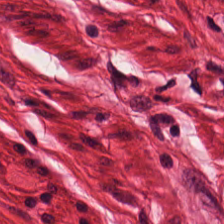{"tissue_type": "smooth muscle"}
